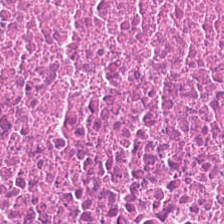H&E stain · whole-slide-image patch. {"tissue_type": "cellular debris"}
